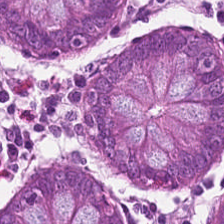224×224 px patch. H&E-stained tissue section — The tissue type is benign colonic mucosa.
